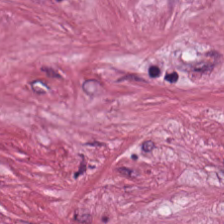Hematoxylin-and-eosin stained section.
This patch shows tumor-associated stroma.
